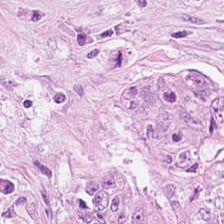H&E-stained tissue section showing tumor stroma.
